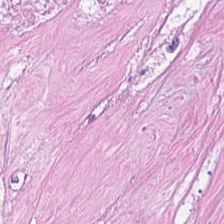H&E; 0.5 µm/px — {"tissue_type": "cellular debris"}
